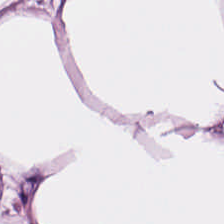H&E; 0.5 µm per pixel — {"tissue_type": "adipose tissue"}
